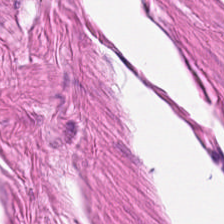Stain: hematoxylin-and-eosin stained section.
Preparation: FFPE tissue section.
Acquisition: brightfield.
Predominant tissue: smooth-muscle tissue.
